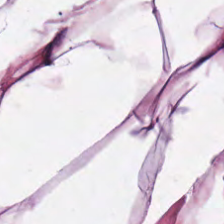Stain: H&E stain.
Tissue type: adipose.
